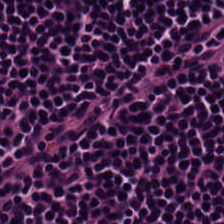Hematoxylin-and-eosin stained section. Predominantly lymphoid infiltrate.
